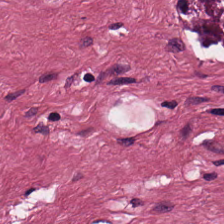Q: What tissue type is shown here?
A: The field shows cancer-associated stroma.
